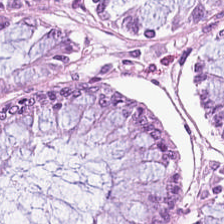H&E-stained tissue section — Q: Classify this patch.
A: Normal colon mucosa.
